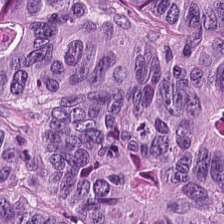Hematoxylin and eosin; brightfield microscopy. Showing colorectal adenocarcinoma epithelium.
